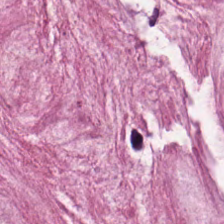H&E. Showing mucin.
